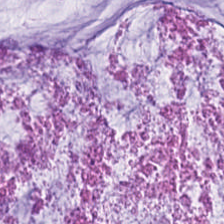Hematoxylin-and-eosin stained section. 224×224 px patch. Brightfield.
Classification: extracellular mucin.
